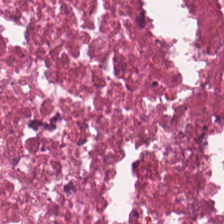H&E. Classification = necrotic debris.
